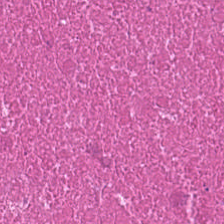Showing debris.
